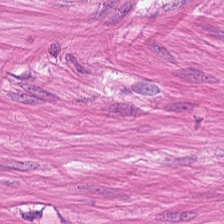FFPE · H&E.
The predominant tissue is smooth muscle.
